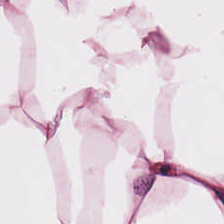Hematoxylin and eosin.
Finding — adipose tissue.
